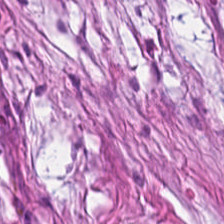Predominant tissue: tumor stroma.
